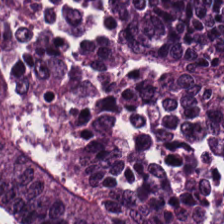H&E stain. The predominant tissue is tumor epithelium.
